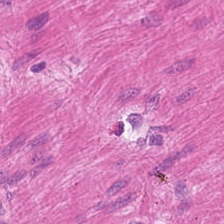H&E patch showing smooth-muscle tissue.
